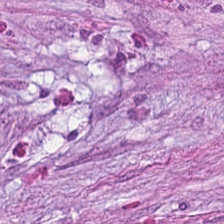0.5 µm per pixel · WSI patch · H&E stain — Q: What tissue is shown?
A: It is tumor stroma.
